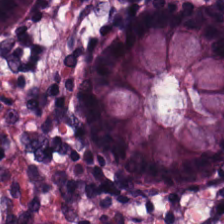0.5 microns per pixel · H&E-stained tissue section — Predominant tissue = non-neoplastic colon mucosa.
